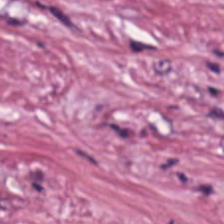WSI patch. H&E. 20× equivalent magnification. Q: What tissue type is shown here?
A: It is desmoplastic stroma.
